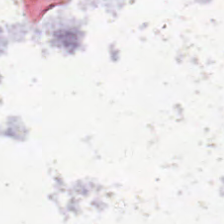Hematoxylin and eosin. The field content is no tissue.
